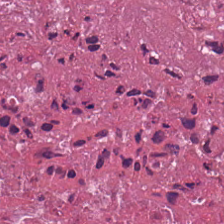H&E stain. This patch shows cellular debris.
